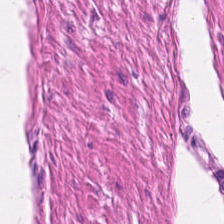H&E stain. Tissue class = smooth-muscle tissue.
